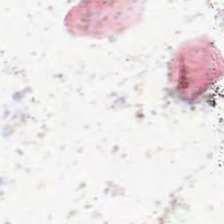Hematoxylin and eosin. Brightfield microscopy. 0.5 µm per pixel.
Histology — background.
